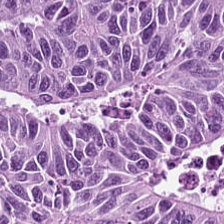H&E stain. {"tissue_type": "tumor epithelium"}
